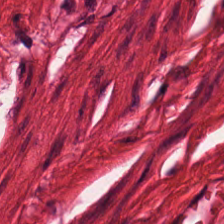Hematoxylin-and-eosin stained section. Classification: muscularis.
